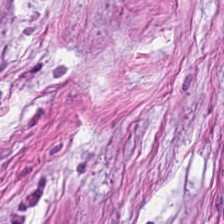H&E · 224×224 pixel tile. The classification is cancer-associated stroma.
